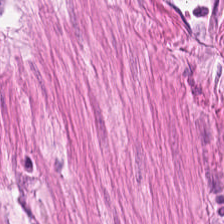Predominant tissue = smooth muscle.
